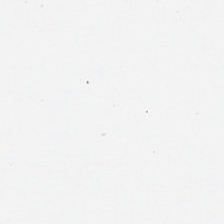224×224 px tile. H&E.
Background — no tissue in this field.
